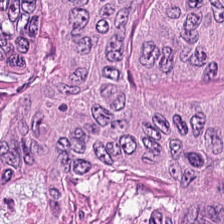Hematoxylin and eosin — Histology — colorectal adenocarcinoma.
